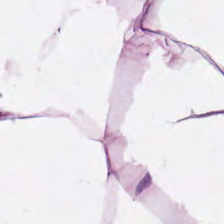H&E. 224×224 px patch.
Tissue class = adipocytes.
